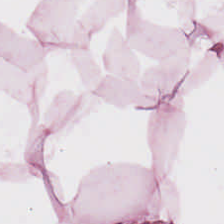Hematoxylin and eosin · whole-slide-image patch — Q: What tissue is shown?
A: Adipose.
